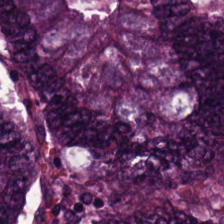224×224 pixel tile; whole-slide-image patch; H&E stain.
Colorectal adenocarcinoma epithelium.
